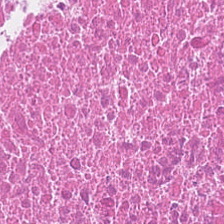H&E-stained tissue section · FFPE.
Classification = debris.
